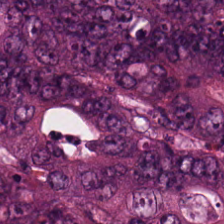224×224 px tile · brightfield · hematoxylin and eosin — The predominant tissue is colorectal adenocarcinoma epithelium.
